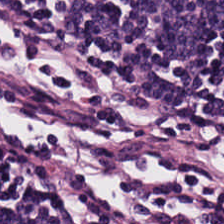H&E stain; FFPE tissue section — Lymphocytes.
